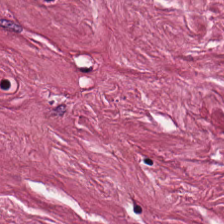Hematoxylin-and-eosin stained section. FFPE tissue section. 0.5 microns per pixel. Histology → cancer-associated stroma.
